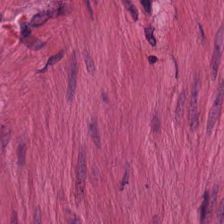224×224 pixel tile. H&E stain — Tissue class = muscularis.
